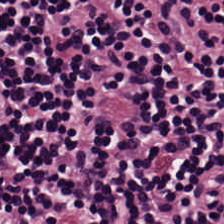Q: What tissue is shown?
A: This is lymphocyte aggregate.
